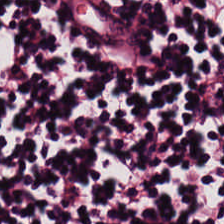Tissue type = lymphocytes.
